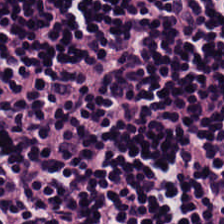Predominantly lymphoid infiltrate.
